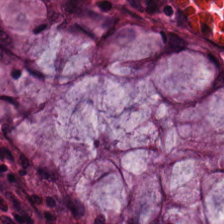Stain: H&E-stained tissue section.
Tissue class: normal colonic mucosa.
